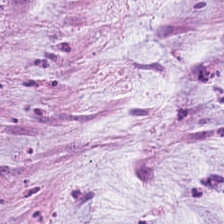Tissue: mucus.
